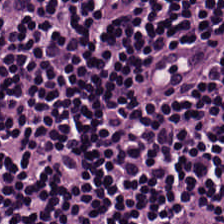224×224 pixel tile; hematoxylin-and-eosin stained section.
Q: What does this patch show?
A: It is lymphocytic infiltrate.
